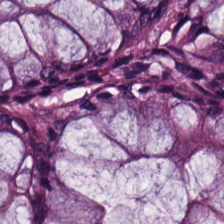H&E stain — Tissue class = normal colonic mucosa.
